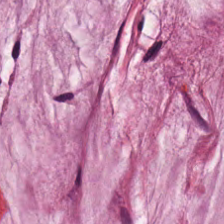Hematoxylin and eosin.
Tissue type: extracellular mucin.
